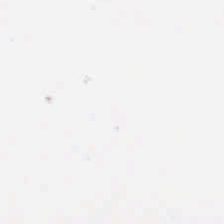Empty background.
